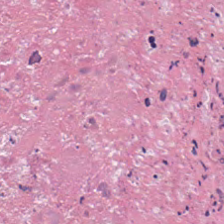H&E-stained section; the field shows cellular debris.
